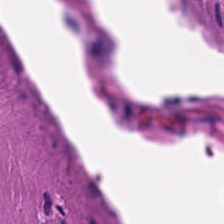0.5 microns per pixel · H&E-stained tissue section.
Finding — smooth-muscle tissue.
